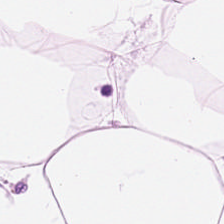FFPE; H&E-stained tissue section. This field is adipose tissue.
